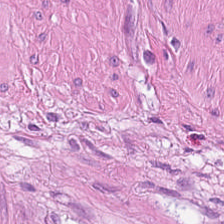0.5 microns per pixel · H&E · 224×224 px tile.
Smooth muscle.
